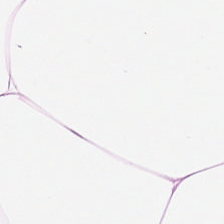Hematoxylin and eosin; brightfield microscopy; FFPE.
Histology — adipocytes.
